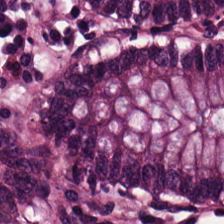Stain: H&E stain.
Tissue type: normal colonic mucosa.
